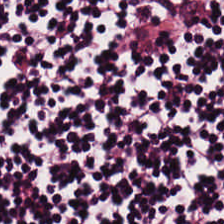224×224 pixel tile. 20× equivalent magnification. Hematoxylin-and-eosin stained section.
Predominant tissue: lymphocyte aggregate.
